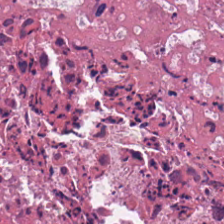224×224 px tile · hematoxylin-and-eosin stained section. Q: What is shown in this field?
A: It is debris.
